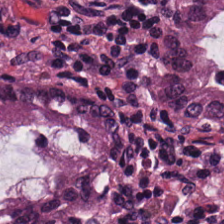0.5 µm per pixel · H&E · 224×224 pixel tile. The tissue here is normal colon mucosa.
